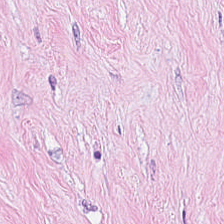Hematoxylin-and-eosin stained section.
Q: What is shown in this field?
A: This is desmoplastic stroma.
